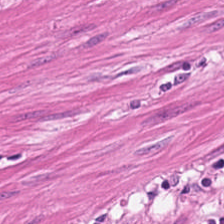H&E-stained tissue section; 224×224 px patch; 0.5 microns per pixel. Tissue — muscularis.
